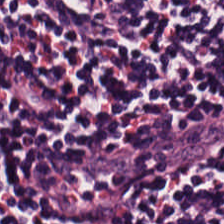H&E stain — This field is lymphocyte aggregate.
